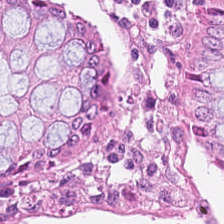224×224 px tile. WSI patch. H&E — Predominant tissue — non-neoplastic colon mucosa.
